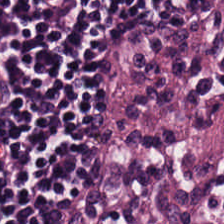Stain: H&E-stained tissue section.
Predominant tissue: lymphocytic infiltrate.
